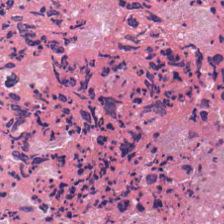H&E — cellular debris.
